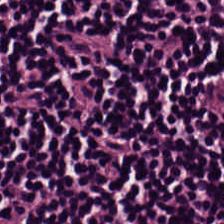H&E stain.
Tissue class — lymphoid infiltrate.
